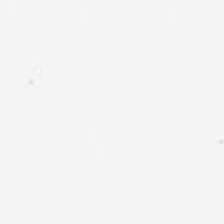224×224 px tile · H&E stain · 0.5 µm per pixel.
Q: What does this patch show?
A: The field shows no tissue.
